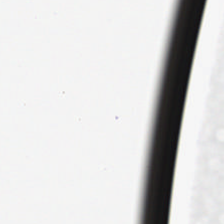0.5 µm/px; H&E-stained tissue section.
Finding → empty background.
